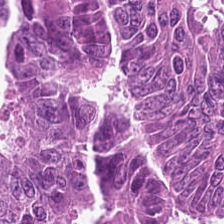H&E stain · 224×224 px patch.
Showing malignant epithelium.
